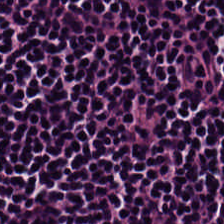The predominant tissue is lymphocytes.
